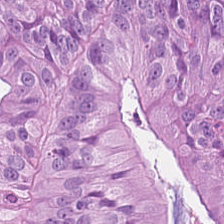Hematoxylin-and-eosin stained section.
Impression → colorectal adenocarcinoma.
